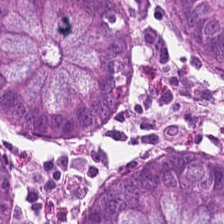The classification is normal colon mucosa.
